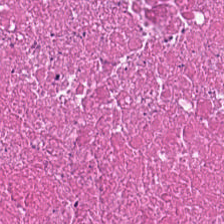H&E stain. Histology — debris.
